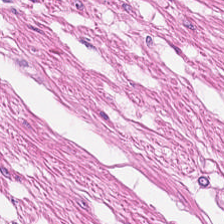H&E patch showing smooth muscle.
